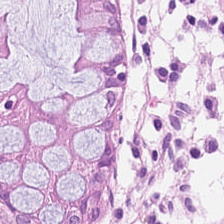Stain: hematoxylin-and-eosin stained section.
Acquisition: brightfield microscopy.
Tile size: 224×224 pixel tile.
Predominant tissue: non-neoplastic colon mucosa.
